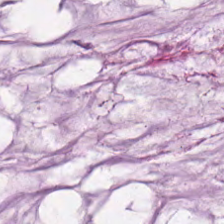Hematoxylin and eosin. Impression → mucus.
